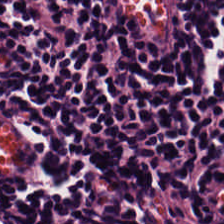Hematoxylin and eosin. This field is lymphoid infiltrate.
